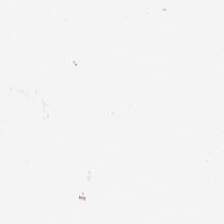Stain: H&E stain.
Content: empty background.
